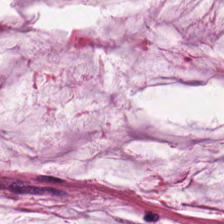H&E · 224×224 pixel tile · formalin-fixed paraffin-embedded section — Showing mucin.
